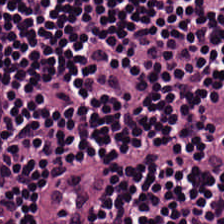H&E stain.
Predominantly lymphoid infiltrate.
